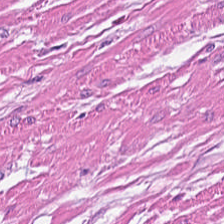H&E stain. Finding — smooth muscle.
